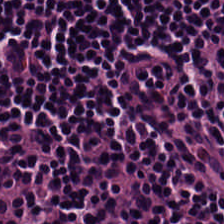H&E stain — This patch shows lymphoid infiltrate.
